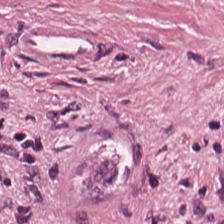H&E-stained tissue section — Impression → desmoplastic stroma.
